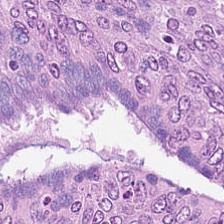H&E · WSI patch · formalin-fixed paraffin-embedded section. Q: Identify the tissue.
A: Adenocarcinoma.
